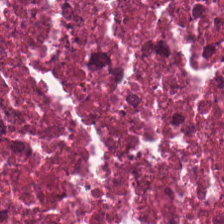Stain: H&E-stained tissue section.
Tissue class: cellular debris.
